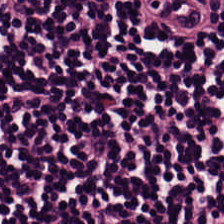Predominant tissue = lymphocyte aggregate.
